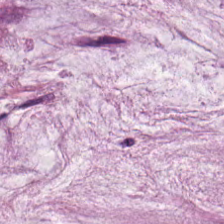Hematoxylin and eosin — Classification — mucus.
